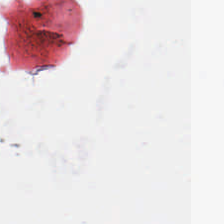0.5 µm/px. H&E. 224×224 px patch.
Q: What is shown here?
A: Background (no tissue).
